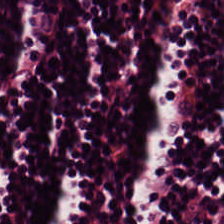Hematoxylin-and-eosin stained section. Tissue — lymphocytic infiltrate.
